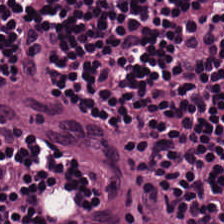The classification is lymphocyte aggregate.
